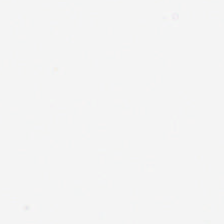Hematoxylin and eosin. FFPE — Q: What does this patch show?
A: It is empty background.
